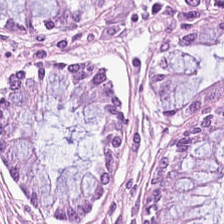Hematoxylin-and-eosin stained section.
Tissue type: benign colonic mucosa.
